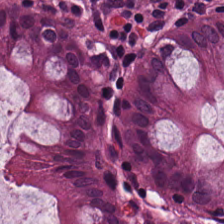H&E.
Tissue type = normal colonic mucosa.
